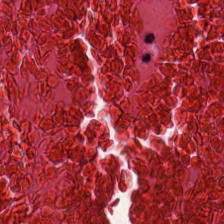Brightfield microscopy; 224×224 pixel tile; H&E stain — Impression → debris.
